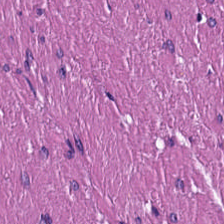Stain: hematoxylin-and-eosin stained section.
Tile size: 224×224 px patch.
Tissue: smooth muscle.
